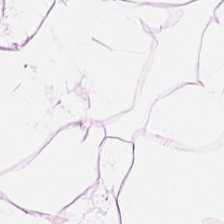Hematoxylin-and-eosin section: adipose.
